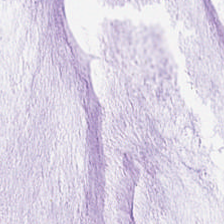Stain: hematoxylin-and-eosin stained section.
Tile size: 224×224 px patch.
Resolution: 0.5 µm per pixel.
Classification: mucin.
